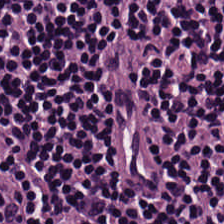Hematoxylin and eosin. Brightfield microscopy — Tissue — lymphoid infiltrate.
